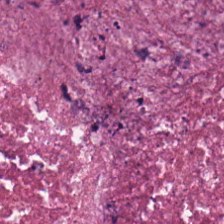224×224 px patch. H&E — Tissue type: debris.
